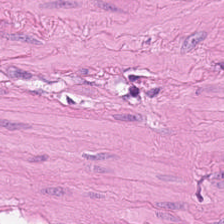H&E-stained tissue section.
Showing smooth-muscle tissue.
